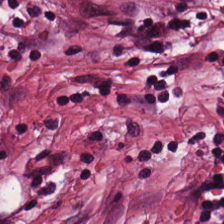Predominant tissue = cancer-associated stroma.
